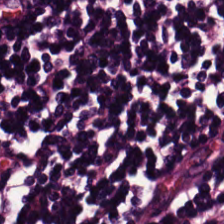Hematoxylin and eosin. 0.5 microns per pixel. Tissue class: lymphocytes.
